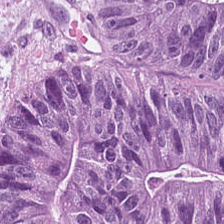Stain: H&E stain.
Classification: colorectal adenocarcinoma.
